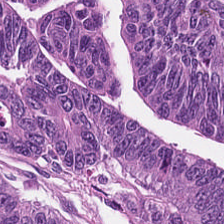224×224 px tile; H&E-stained tissue section. Finding — tumor epithelium.
